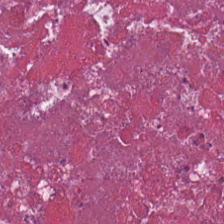0.5 µm/px; H&E stain. Histology — necrotic debris.
